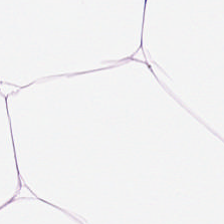Adipose tissue.
